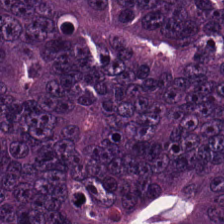0.5 µm per pixel · hematoxylin and eosin. Histology — malignant epithelium.
